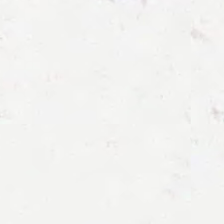Field content — no tissue.
